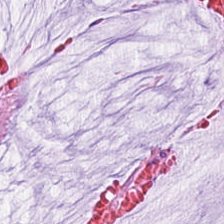Hematoxylin-and-eosin section: extracellular mucin.
